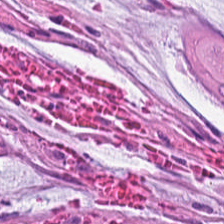Stain: hematoxylin-and-eosin stained section.
Tissue class: mucus.
